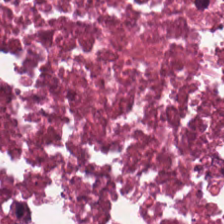224×224 px patch; H&E; 20× equivalent magnification — The classification is necrotic debris.
